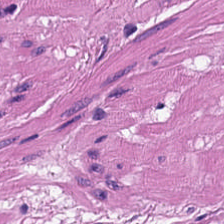H&E — The predominant tissue is smooth muscle.
